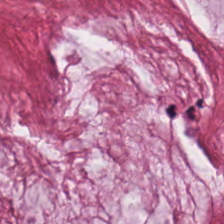Formalin-fixed paraffin-embedded section. Hematoxylin and eosin — Tissue class = mucin.
